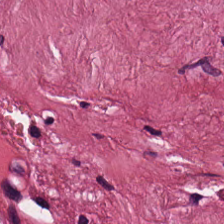H&E-stained tissue section showing desmoplastic stroma.
